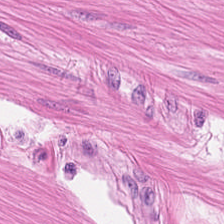Hematoxylin-and-eosin stained section. {"tissue_type": "smooth-muscle tissue"}
